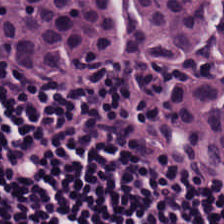H&E — This field is lymphocytic infiltrate.
